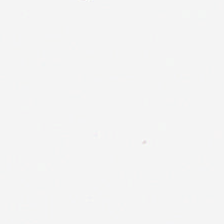H&E-stained tissue section.
Q: Classify this patch.
A: No tissue.
